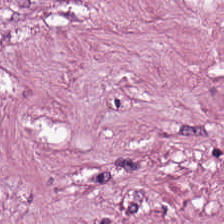Hematoxylin-and-eosin stained section.
Predominant tissue = tumor stroma.
